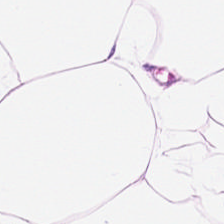H&E stain. 224×224 px patch.
Q: Classify this patch.
A: Adipose tissue.
